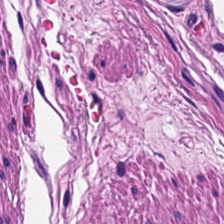Hematoxylin and eosin — Predominantly smooth-muscle tissue.
